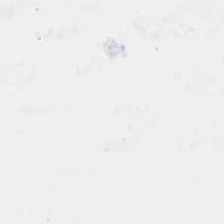Hematoxylin-and-eosin stained section. Q: Classify this patch.
A: The field shows empty background.
